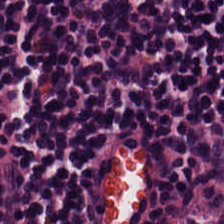Classification: lymphocytes.
